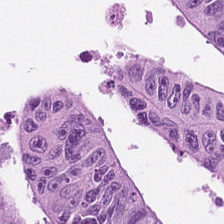H&E-stained tissue section; 0.5 µm/px.
Tissue type — colorectal adenocarcinoma.
